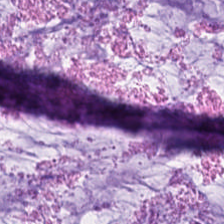Hematoxylin and eosin.
Tissue class — mucin.
